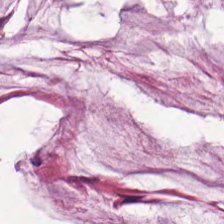FFPE tissue section. Hematoxylin and eosin — Impression — extracellular mucin.
